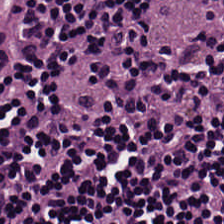H&E-stained tissue section; 0.5 µm/px — Impression → lymphocytes.
